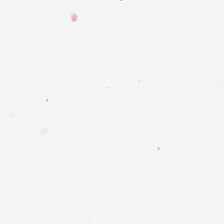Q: What does this patch show?
A: The field shows empty background.
